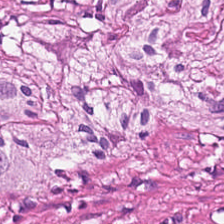Hematoxylin-and-eosin stained section; 224×224 px patch — Predominantly smooth muscle.
